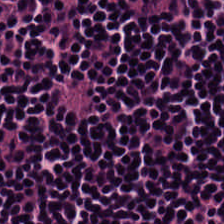Q: What does this patch show?
A: This is lymphocytes.
